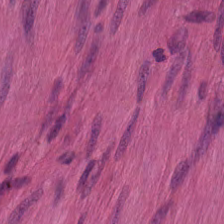FFPE tissue section. 224×224 pixel tile. Hematoxylin-and-eosin stained section.
{"tissue_type": "smooth muscle"}
